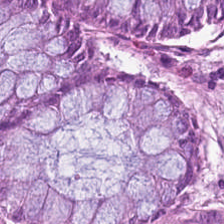224×224 px tile. Hematoxylin-and-eosin stained section. Impression — non-neoplastic colon mucosa.
